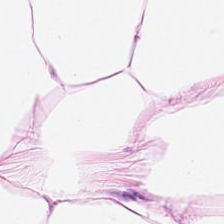H&E-stained tissue section; brightfield microscopy — This patch shows fat tissue.
